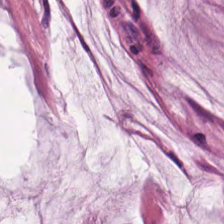Whole-slide-image patch. Hematoxylin-and-eosin stained section. Formalin-fixed paraffin-embedded section — Q: Classify this patch.
A: The field shows extracellular mucin.
